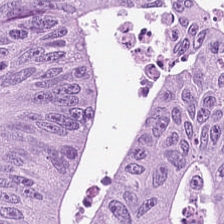224×224 pixel tile · FFPE · hematoxylin-and-eosin stained section. Predominantly tumor epithelium.
